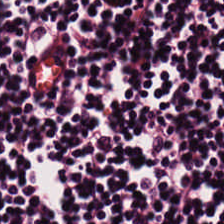H&E stain.
Q: What type of tissue is this?
A: Lymphocytic infiltrate.
